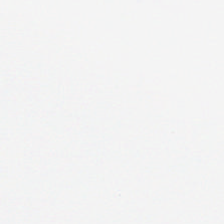H&E-stained tissue section · 224×224 pixel tile · 0.5 µm per pixel. This field is background (no tissue).
